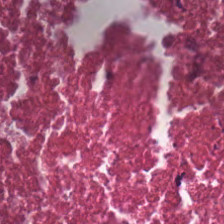Showing necrotic debris.
